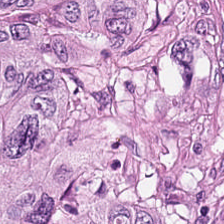H&E stain.
{"tissue_type": "adenocarcinoma"}
